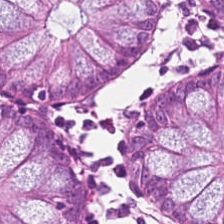Hematoxylin-and-eosin stained section — Classification = non-neoplastic colon mucosa.
